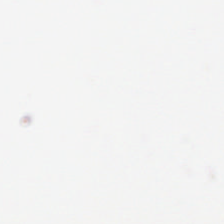Field content — no tissue.
